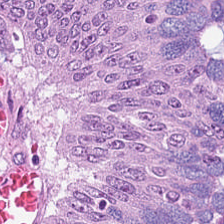Stain: hematoxylin-and-eosin stained section.
Resolution: 0.5 µm/px.
Predominant tissue: tumor epithelium.
